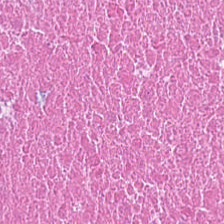Tissue type = cellular debris.
